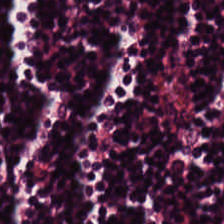Histology → lymphocyte aggregate.
